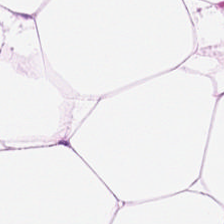Stain: hematoxylin and eosin.
Classification: fat tissue.
